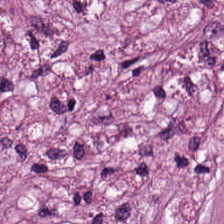Hematoxylin-and-eosin stained section. 224×224 px tile. 0.5 microns per pixel.
The tissue here is cancer-associated stroma.
